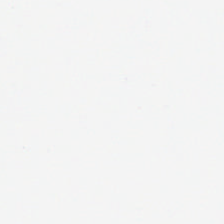H&E stain. The field content is background.
